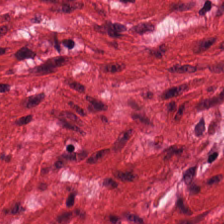H&E-stained tissue section. Predominant tissue: muscularis.
